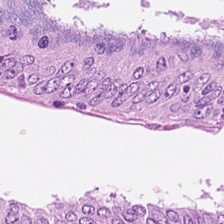Hematoxylin-and-eosin stained section — Finding — adenocarcinoma.
